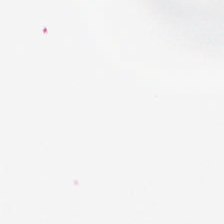Field content — background (no tissue).
